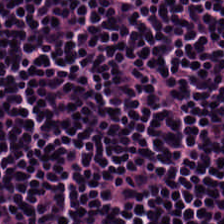H&E-stained tissue section.
Predominant tissue: lymphocytic infiltrate.
